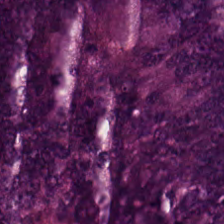WSI patch; H&E-stained tissue section — The tissue type is adenocarcinoma.
